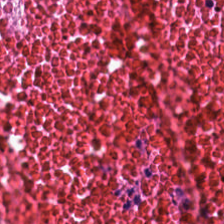224×224 px patch · hematoxylin and eosin — Q: What does this patch show?
A: Necrotic debris.
